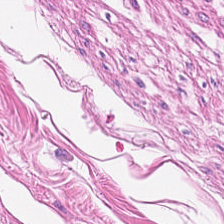224×224 pixel tile; hematoxylin and eosin. Finding — smooth muscle.
